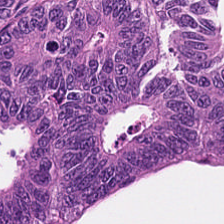Stain: hematoxylin-and-eosin stained section.
Resolution: 20× equivalent magnification.
Classification: adenocarcinoma.
